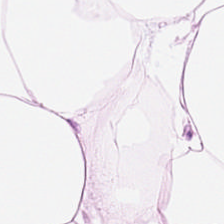H&E. Q: What tissue type is shown here?
A: It is adipocytes.
